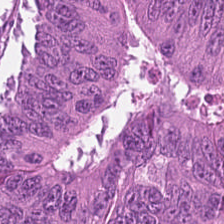H&E — Q: Classify this patch.
A: This is tumor epithelium.
